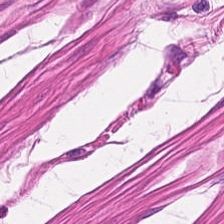Q: What is the predominant tissue type?
A: It is smooth muscle.
